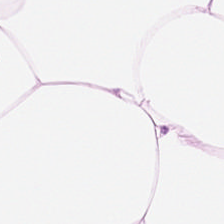Hematoxylin and eosin. Formalin-fixed paraffin-embedded section.
This field is adipocytes.
